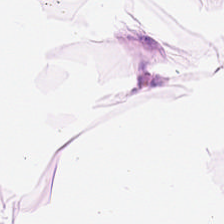Hematoxylin and eosin.
This field is fat tissue.
